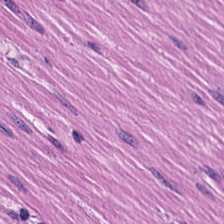Hematoxylin-and-eosin stained section · 224×224 px patch. Tissue class — muscularis.
